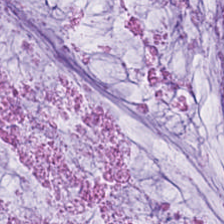FFPE. Brightfield. H&E stain.
This field is mucus.
